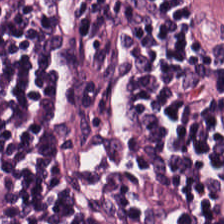H&E stain.
The predominant tissue is lymphoid infiltrate.
